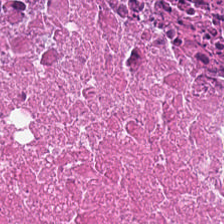H&E stain. Classification: debris.
